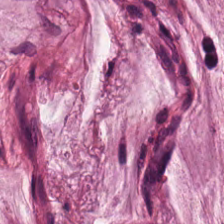Hematoxylin-and-eosin stained section. Mucin.
